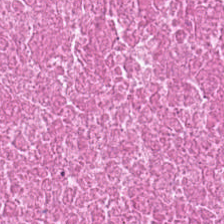H&E-stained tissue section. Q: What is the predominant tissue type?
A: It is necrotic debris.
